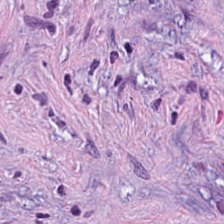20× equivalent magnification; hematoxylin and eosin.
Predominant tissue — tumor-associated stroma.
